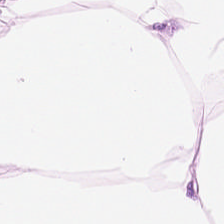WSI patch · FFPE · hematoxylin and eosin.
Adipose tissue.
